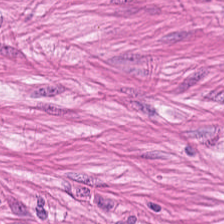H&E-stained tissue section — The predominant tissue is smooth muscle.
